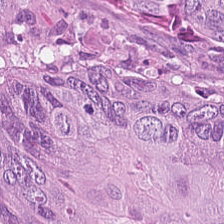Brightfield. H&E-stained tissue section.
Q: What type of tissue is this?
A: It is colorectal adenocarcinoma epithelium.
